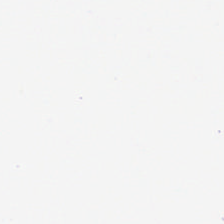H&E.
Content — background (no tissue).
